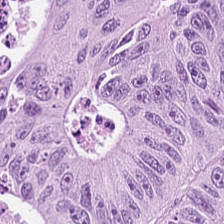Hematoxylin and eosin. WSI patch.
Q: What tissue type is shown here?
A: This is malignant epithelium.
